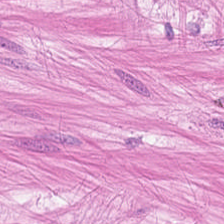H&E stain — Smooth-muscle tissue.
